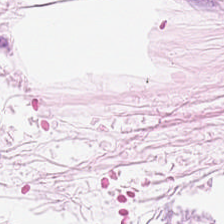Stain: H&E stain.
Acquisition: brightfield.
Classification: adipose.
